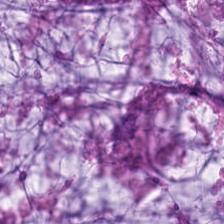Hematoxylin-and-eosin stained section — This patch shows extracellular mucin.
